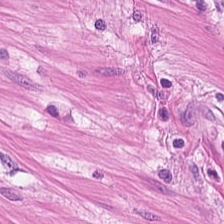Brightfield microscopy; H&E-stained tissue section.
Showing smooth muscle.
